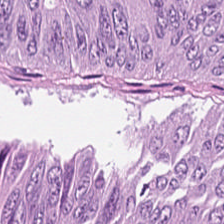Hematoxylin-and-eosin stained section.
Q: What tissue is shown?
A: The field shows malignant epithelium.
